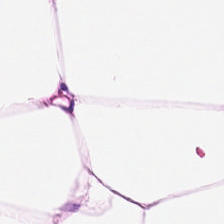Q: What is shown in this field?
A: It is adipose.
